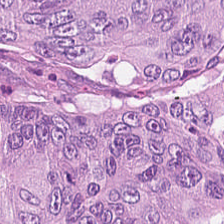Hematoxylin and eosin — Classification = adenocarcinoma.
